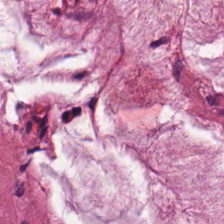Stain: H&E stain.
Acquisition: brightfield microscopy.
Predominant tissue: extracellular mucin.
